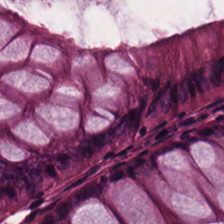Stain: hematoxylin and eosin.
Resolution: 0.5 µm per pixel.
Tissue class: normal colonic mucosa.
